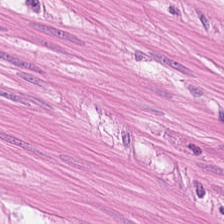Hematoxylin-and-eosin stained section.
This field is muscularis.
